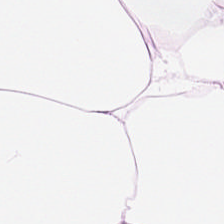H&E-stained tissue section.
Tissue class = adipose tissue.
